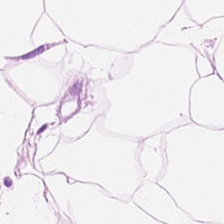Brightfield microscopy · hematoxylin-and-eosin stained section — This field is adipocytes.
